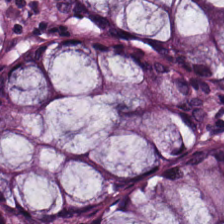0.5 µm per pixel; H&E-stained tissue section — The predominant tissue is benign colonic mucosa.
